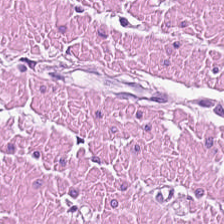H&E stain.
The tissue here is muscularis.
